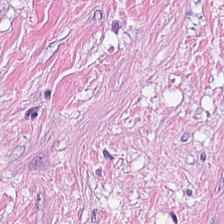The tissue is tumor stroma.
